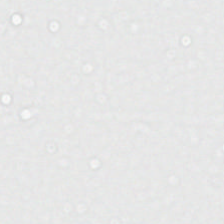H&E · formalin-fixed paraffin-embedded section — Content — background (no tissue).
